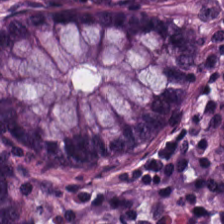H&E stain · brightfield microscopy · 20× equivalent magnification — Q: What tissue type is shown here?
A: Non-neoplastic colon mucosa.
